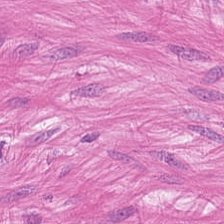H&E-stained tissue section — Impression → smooth muscle.
